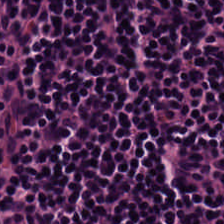0.5 µm per pixel; brightfield microscopy; hematoxylin and eosin.
Impression → lymphoid infiltrate.
